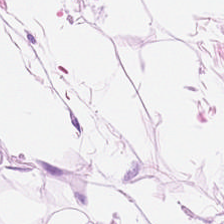Hematoxylin-and-eosin stained section — {"tissue_type": "adipose tissue"}
